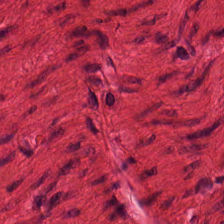Hematoxylin and eosin.
Predominantly smooth-muscle tissue.
